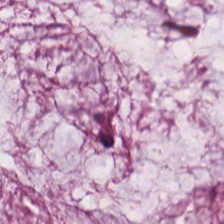H&E-stained tissue section.
Impression → mucus.
